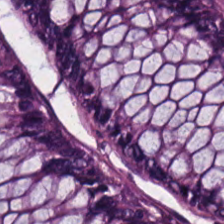FFPE tissue section · H&E. Classification: non-neoplastic colon mucosa.
